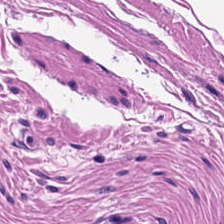224×224 px patch · H&E. The tissue class is smooth muscle.
